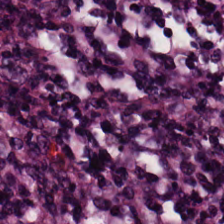H&E stain. The tissue type is lymphoid infiltrate.
